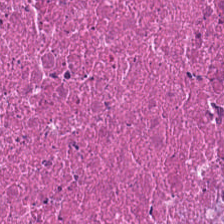Q: Classify this patch.
A: This is cellular debris.
